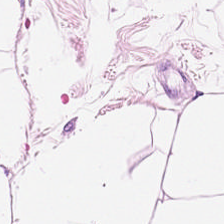Hematoxylin-and-eosin stained section — {"tissue_type": "adipose"}
